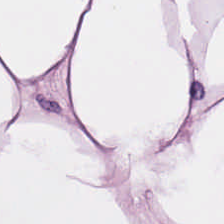Q: What does this patch show?
A: Adipocytes.
